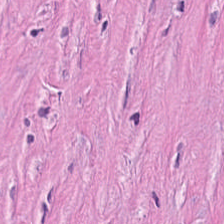Hematoxylin-and-eosin stained section; 0.5 µm per pixel. Q: Identify the tissue.
A: The field shows cancer-associated stroma.
